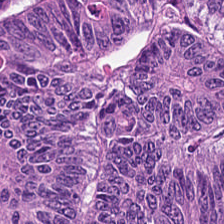Stain: H&E.
Tissue: colorectal adenocarcinoma.
